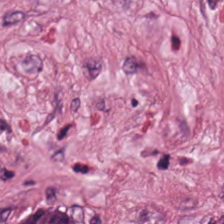H&E-stained tissue section — This field is desmoplastic stroma.
